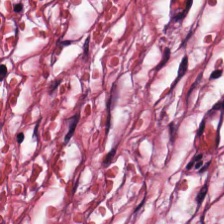H&E-stained tissue section — Cancer-associated stroma.
